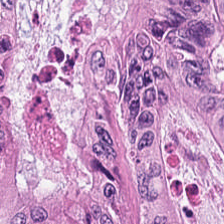0.5 microns per pixel; H&E stain; WSI patch — Tissue class — tumor epithelium.
